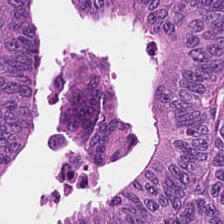Hematoxylin-and-eosin stained section. This field is adenocarcinoma.
